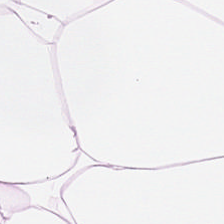Stain: H&E stain.
Resolution: 0.5 microns per pixel.
Tissue: fat tissue.
